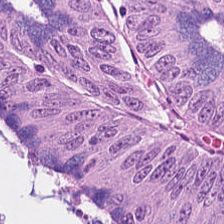Q: What is shown in this field?
A: It is tumor epithelium.
